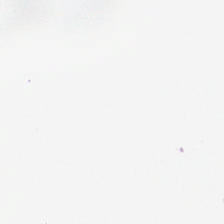Finding — background.
